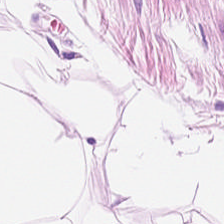H&E stain. Predominant tissue: adipose.
